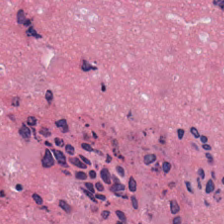H&E. 0.5 µm per pixel — {"tissue_type": "cellular debris"}
